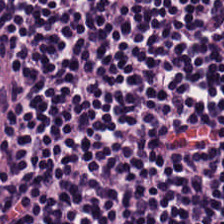H&E-stained section; the field shows lymphoid infiltrate.
